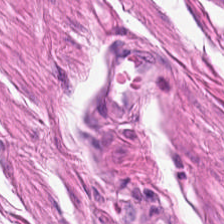H&E stain. This patch shows muscularis.
